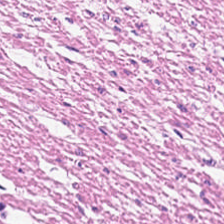224×224 px patch; 0.5 microns per pixel; H&E stain — This patch shows muscularis.
